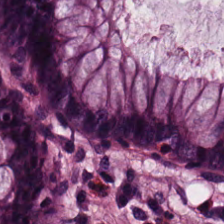FFPE. WSI patch. H&E stain. Tissue — benign colonic mucosa.
